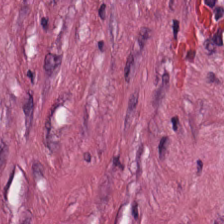0.5 µm/px. Formalin-fixed paraffin-embedded section. Hematoxylin and eosin — The tissue here is tumor stroma.
